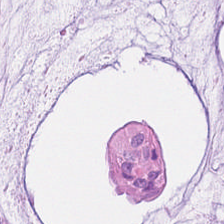H&E · 224×224 px patch — Q: What tissue is shown?
A: Mucin.
